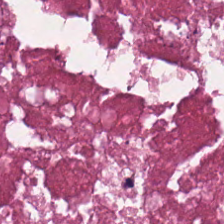H&E — Debris.
